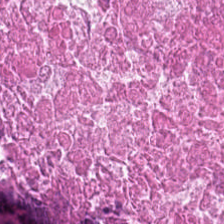224×224 px patch · H&E stain.
The predominant tissue is necrotic debris.
